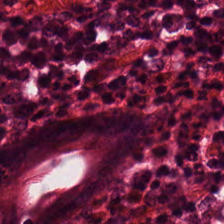0.5 µm per pixel; brightfield; H&E-stained tissue section.
Classification: benign colonic mucosa.
